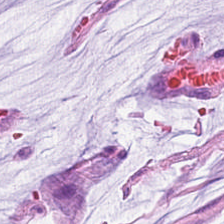Formalin-fixed paraffin-embedded section. H&E-stained tissue section — Predominantly mucin.
